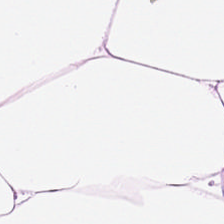Hematoxylin and eosin. 224×224 px tile.
Impression — adipose tissue.
